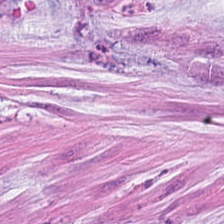H&E.
The predominant tissue is extracellular mucin.
